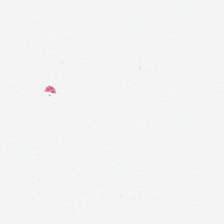Stain: H&E.
Classification: background.
